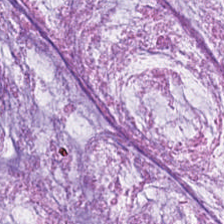H&E stain. FFPE tissue section. 20× equivalent magnification. The predominant tissue is mucus.
